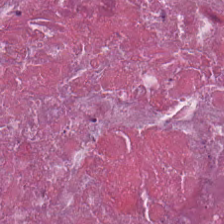0.5 µm per pixel · hematoxylin-and-eosin stained section.
Tissue type — necrotic debris.
